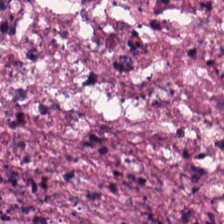Hematoxylin-and-eosin section: debris.
